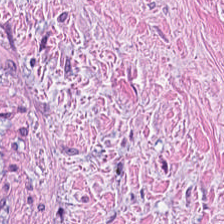Hematoxylin-and-eosin stained section.
The predominant tissue is tumor-associated stroma.
